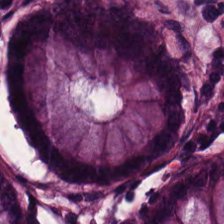20× equivalent magnification. Formalin-fixed paraffin-embedded section. Hematoxylin and eosin. Predominant tissue = non-neoplastic colon mucosa.
